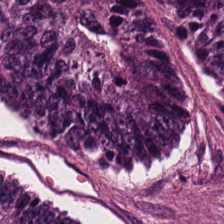H&E-stained tissue section.
This field is malignant epithelium.
